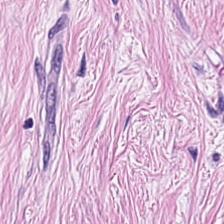0.5 microns per pixel; hematoxylin-and-eosin stained section — This patch shows tumor stroma.
